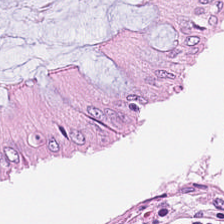H&E stain.
Q: What does this patch show?
A: The field shows normal colon mucosa.
